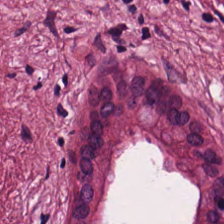Stain: H&E.
Classification: desmoplastic stroma.
